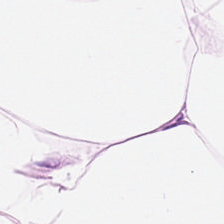Hematoxylin and eosin. {"tissue_type": "adipose tissue"}
